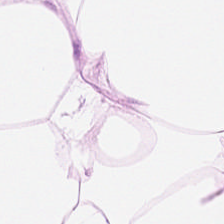H&E stain. Predominantly adipocytes.
